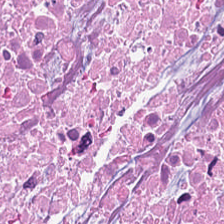{"tissue_type": "debris"}
